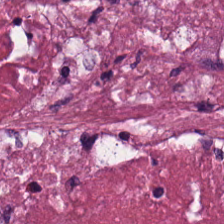Stain: H&E.
Predominant tissue: debris.
